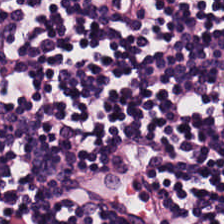Brightfield microscopy. 20× equivalent magnification. Hematoxylin-and-eosin stained section.
Q: What is the predominant tissue type?
A: It is lymphocytic infiltrate.
